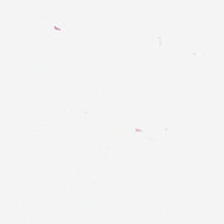H&E-stained tissue section. 0.5 µm/px. FFPE tissue section. Content = no tissue.
